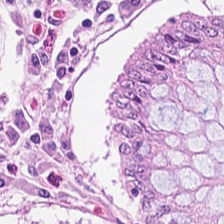H&E — This field is benign colonic mucosa.
